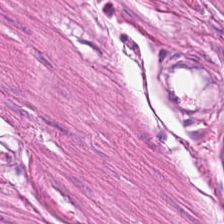FFPE tissue section · H&E-stained tissue section · whole-slide-image patch — Tissue class = smooth muscle.
